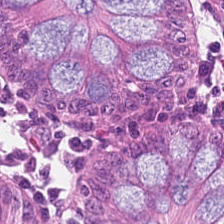Finding — normal colon mucosa.
